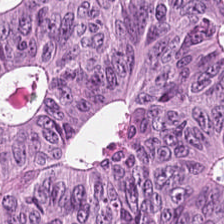Formalin-fixed paraffin-embedded section. 224×224 px patch. Hematoxylin-and-eosin stained section.
The tissue is adenocarcinoma.
